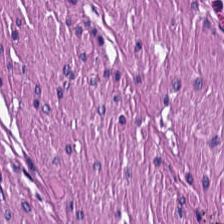H&E; 0.5 microns per pixel; 224×224 pixel tile.
{"tissue_type": "muscularis"}
